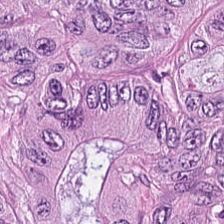Formalin-fixed paraffin-embedded section; H&E-stained tissue section; 0.5 µm/px. {"tissue_type": "colorectal adenocarcinoma"}
